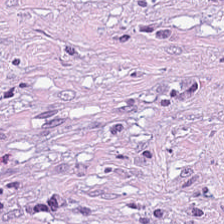H&E-stained tissue section; 224×224 px patch. The predominant tissue is cancer-associated stroma.
